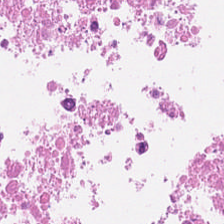Tissue class: debris.
